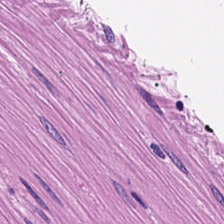Whole-slide-image patch · 224×224 pixel tile · H&E — Smooth-muscle tissue.
